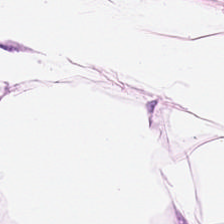Hematoxylin-and-eosin stained section.
Tissue class = adipocytes.
